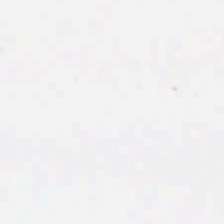Whole-slide-image patch. H&E stain. 20× equivalent magnification.
No tissue.
